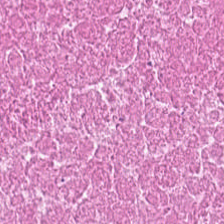H&E-stained tissue section — Predominantly cellular debris.
